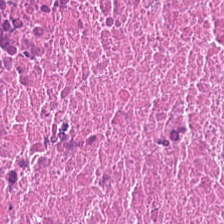H&E · FFPE · 0.5 µm per pixel. {"tissue_type": "cellular debris"}
